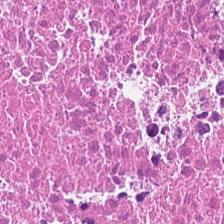Q: What type of tissue is this?
A: This is debris.
